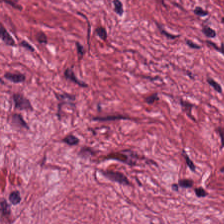{"tissue_type": "desmoplastic stroma"}
